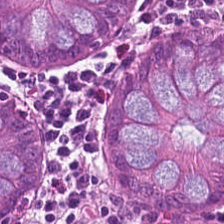Q: What does this patch show?
A: Non-neoplastic colon mucosa.
